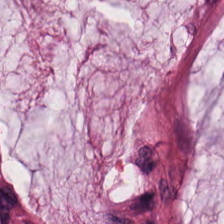H&E. The predominant tissue is mucus.
